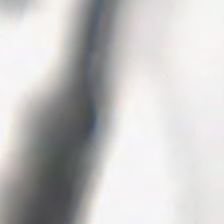0.5 µm per pixel. Brightfield. Hematoxylin and eosin.
Q: Classify this patch.
A: It is no tissue.
